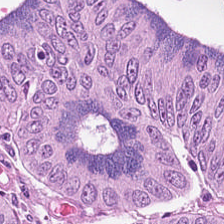H&E stain. Q: What tissue type is shown here?
A: It is colorectal adenocarcinoma.
